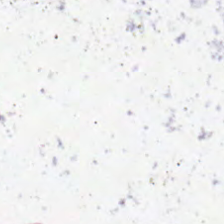H&E stain · 224×224 px tile — {"content": "background (no tissue)"}
